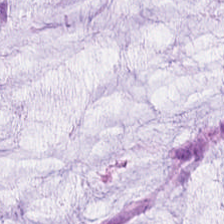The tissue here is mucin.
